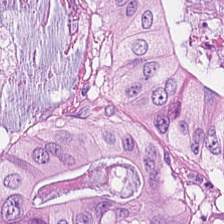H&E patch showing malignant epithelium.
